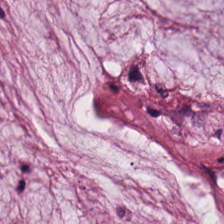The predominant tissue is mucus.
